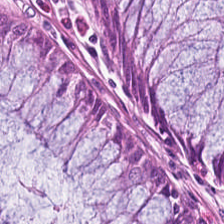Brightfield · H&E-stained tissue section.
Tissue type — normal colon mucosa.
